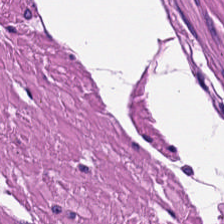Formalin-fixed paraffin-embedded section · 20× equivalent magnification · H&E. Q: What type of tissue is this?
A: It is muscularis.
